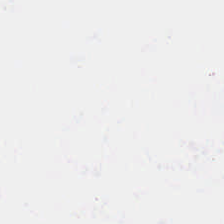H&E — This patch shows background.
